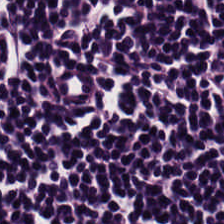Hematoxylin and eosin.
Q: What does this patch show?
A: Lymphocytic infiltrate.
